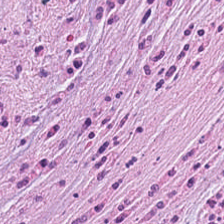H&E-stained tissue section · 0.5 µm per pixel — Classification: cancer-associated stroma.
